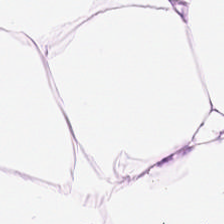H&E stain. Adipocytes.
